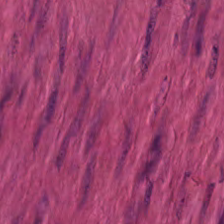Hematoxylin and eosin.
Q: What is the predominant tissue type?
A: The field shows smooth muscle.
